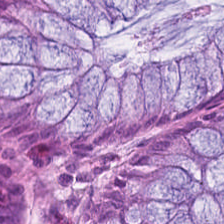Hematoxylin and eosin. Showing normal colonic mucosa.
